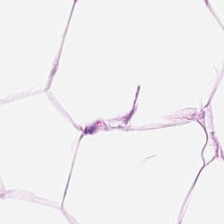H&E. The predominant tissue is adipose.
